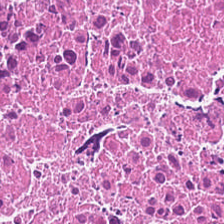Whole-slide-image patch · H&E stain — Necrotic debris.
